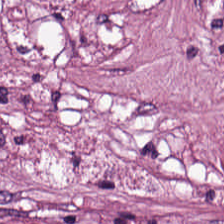Q: What type of tissue is this?
A: Tumor-associated stroma.
